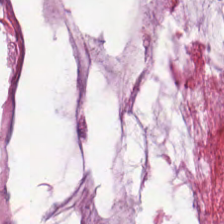Classification — mucus.
